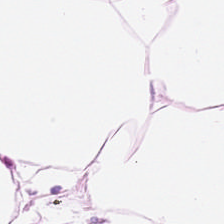Hematoxylin and eosin. Whole-slide-image patch. Q: What is shown in this field?
A: It is adipocytes.
